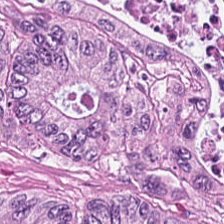H&E stain · 224×224 pixel tile.
Impression — colorectal adenocarcinoma epithelium.
